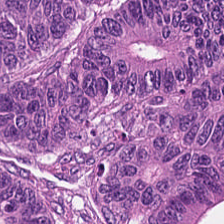Colorectal adenocarcinoma.
